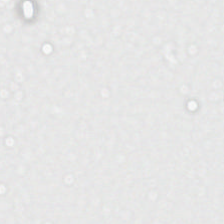Q: What is shown in this field?
A: The field shows empty background.
